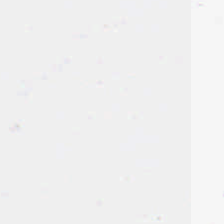Hematoxylin-and-eosin stained section. No tissue.
